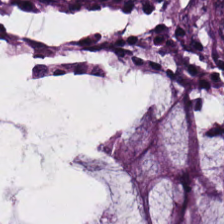Hematoxylin-and-eosin section: normal colonic mucosa.
